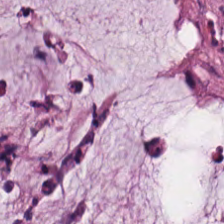Showing extracellular mucin.
